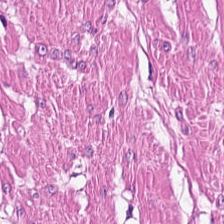H&E patch showing smooth muscle.
